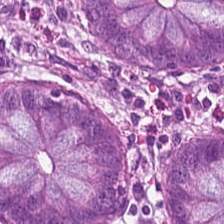Tissue type — non-neoplastic colon mucosa.
